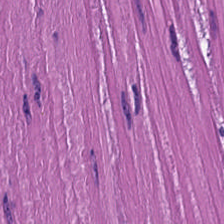Q: Identify the tissue.
A: It is smooth muscle.
